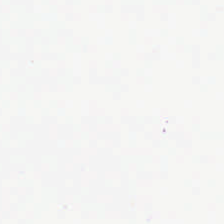Whole-slide-image patch. H&E. Q: What is shown in this field?
A: This is no tissue.
